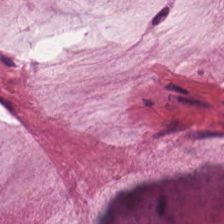0.5 µm per pixel. 224×224 px tile. Hematoxylin and eosin — Q: Identify the tissue.
A: Mucus.
